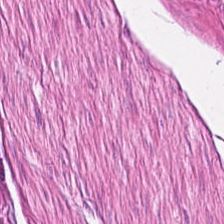Q: What type of tissue is this?
A: It is muscularis.
